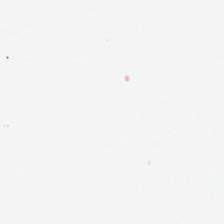Field content = background (no tissue).
